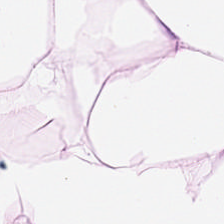Hematoxylin-and-eosin stained section. This patch shows fat tissue.
